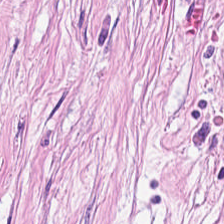H&E stain — The tissue is cancer-associated stroma.
